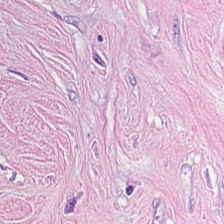H&E-stained tissue section showing cancer-associated stroma.
